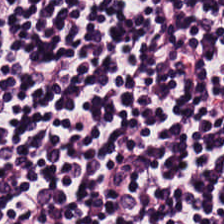WSI patch · hematoxylin and eosin.
Tissue — lymphocytic infiltrate.
